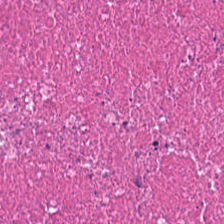Stain: H&E-stained tissue section.
Tissue type: necrotic debris.
